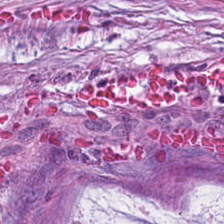0.5 µm per pixel. H&E stain. 224×224 pixel tile.
Finding — mucus.
